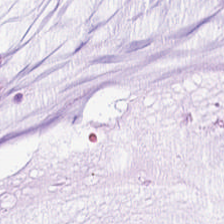Stain: hematoxylin-and-eosin stained section.
Tissue: extracellular mucin.
